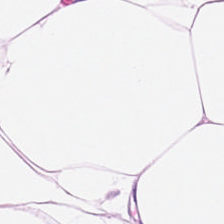Hematoxylin and eosin · 224×224 pixel tile. Adipocytes.
